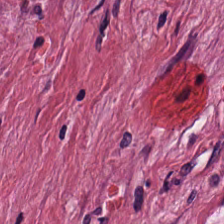0.5 microns per pixel. Hematoxylin and eosin.
Tissue type — desmoplastic stroma.
